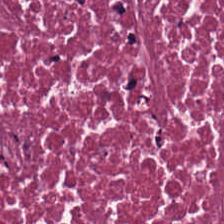Hematoxylin-and-eosin stained section. 20× equivalent magnification. 224×224 pixel tile.
Predominantly cellular debris.
